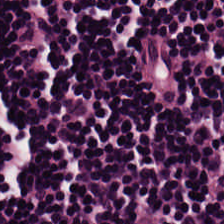Tissue type = lymphocyte aggregate.
